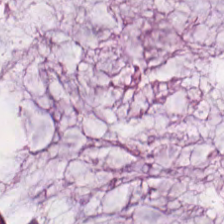Stain: hematoxylin and eosin.
Acquisition: brightfield microscopy.
Resolution: 20× equivalent magnification.
Tissue class: mucin.
